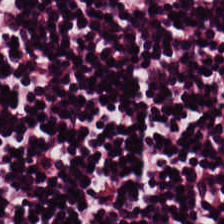Formalin-fixed paraffin-embedded section. Hematoxylin and eosin. The predominant tissue is lymphocyte aggregate.
